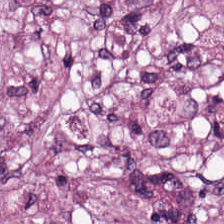Stain: H&E-stained tissue section.
Preparation: formalin-fixed paraffin-embedded section.
Acquisition: brightfield.
Tissue type: tumor stroma.
